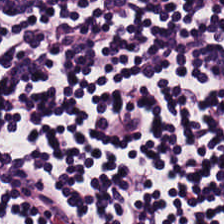H&E; 0.5 µm per pixel — Classification: lymphoid infiltrate.
